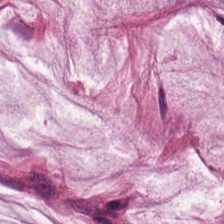Hematoxylin-and-eosin stained section — This patch shows extracellular mucin.
